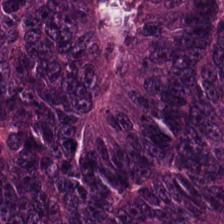H&E stain; formalin-fixed paraffin-embedded section. Predominantly colorectal adenocarcinoma.
